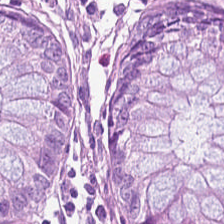Formalin-fixed paraffin-embedded section; H&E.
Classification — non-neoplastic colon mucosa.
